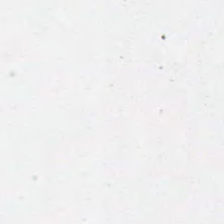Stain: H&E-stained tissue section.
Classification: background (no tissue).
